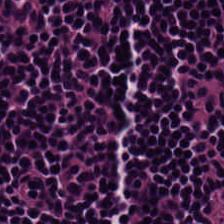Predominantly lymphocytic infiltrate.
